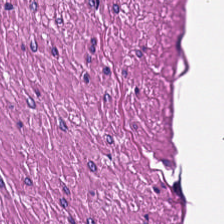H&E stain. Predominantly muscularis.
